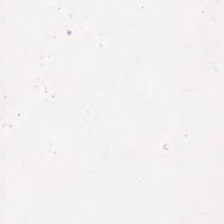H&E — The tissue here is cellular debris.
